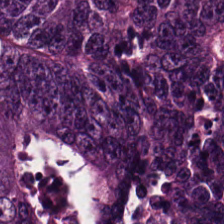0.5 µm per pixel. H&E stain. FFPE. This patch shows colorectal adenocarcinoma.
